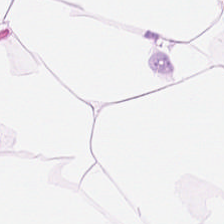Hematoxylin and eosin; formalin-fixed paraffin-embedded section — Q: What is the predominant tissue type?
A: The field shows adipose tissue.
